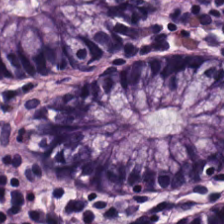Tissue class — non-neoplastic colon mucosa.
